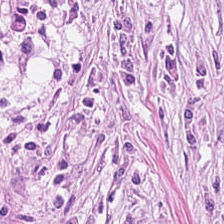H&E. Whole-slide-image patch. 0.5 µm/px — Showing tumor stroma.
